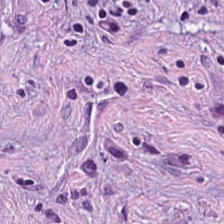The tissue here is tumor-associated stroma.
